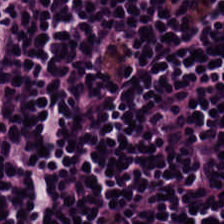H&E. 224×224 px patch. This patch shows lymphocytes.
